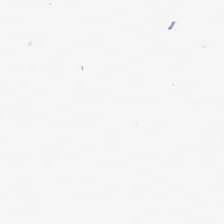Stain: hematoxylin and eosin.
Classification: background (no tissue).
